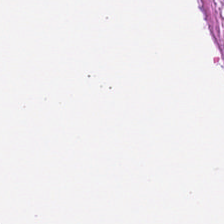Hematoxylin and eosin. Q: What is shown here?
A: The field shows smooth-muscle tissue.
